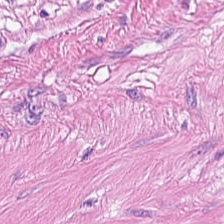Hematoxylin-and-eosin stained section. 224×224 px patch.
Predominant tissue: muscularis.
